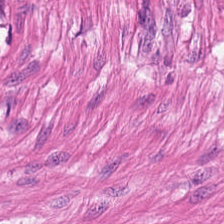Hematoxylin and eosin. This field is muscularis.
